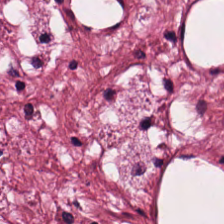H&E-stained tissue section.
The predominant tissue is tumor-associated stroma.
